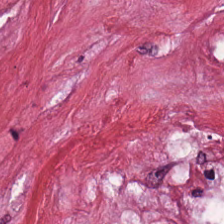Hematoxylin-and-eosin stained section; 224×224 pixel tile; 0.5 microns per pixel. Showing cancer-associated stroma.
